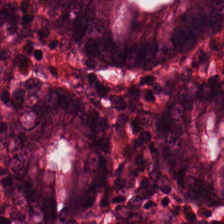H&E. The tissue here is normal colon mucosa.
